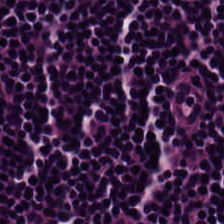Q: What is the predominant tissue type?
A: It is lymphocytic infiltrate.
